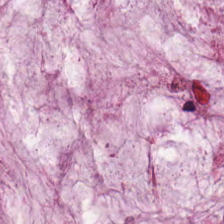Q: What is shown here?
A: This is mucus.
